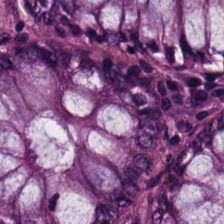Hematoxylin and eosin — The tissue class is normal colonic mucosa.
